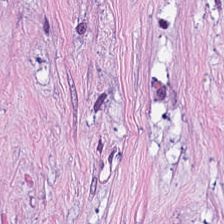Classification: desmoplastic stroma.
